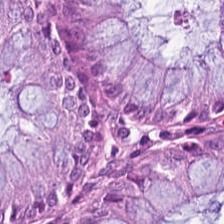H&E-stained tissue section showing normal colon mucosa.
